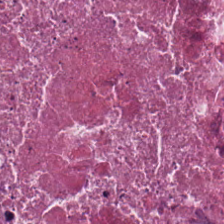0.5 µm per pixel · H&E stain — Q: Identify the tissue.
A: The field shows necrotic debris.
